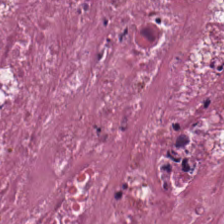0.5 µm/px · H&E stain. This field is necrotic debris.
